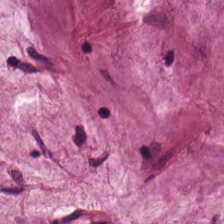H&E — The predominant tissue is mucus.
